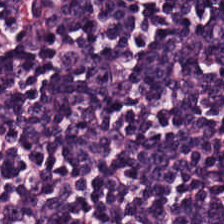Q: What is the predominant tissue type?
A: The field shows lymphoid infiltrate.
